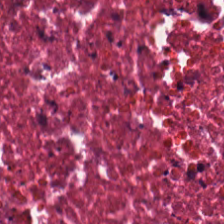Finding → debris.
